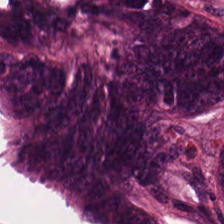Stain: H&E.
Preparation: formalin-fixed paraffin-embedded section.
Tissue type: tumor epithelium.
